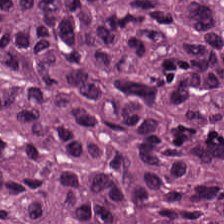Stain: H&E-stained tissue section.
Classification: colorectal adenocarcinoma.
